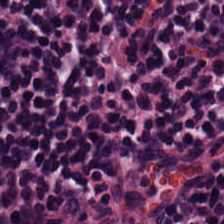Hematoxylin-and-eosin stained section — Q: What is shown in this field?
A: Lymphoid infiltrate.
